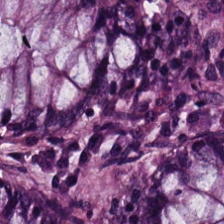Hematoxylin and eosin; 0.5 µm per pixel. Q: What is shown here?
A: Non-neoplastic colon mucosa.
